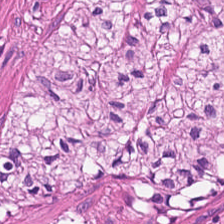Hematoxylin and eosin; FFPE tissue section.
The tissue is muscularis.
